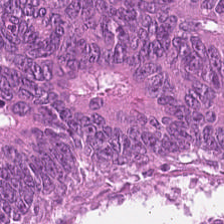H&E · 224×224 px tile.
Predominantly adenocarcinoma.
